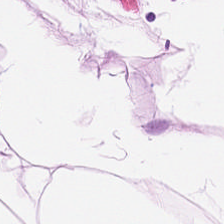0.5 µm/px. H&E. FFPE. Classification: adipocytes.
